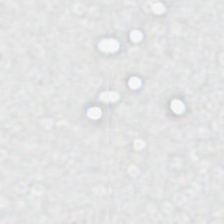20× equivalent magnification. Hematoxylin-and-eosin stained section. FFPE tissue section.
Q: What is shown here?
A: It is empty background.
